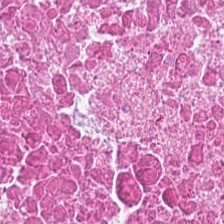Hematoxylin-and-eosin stained section. 0.5 microns per pixel. Predominant tissue: cellular debris.
